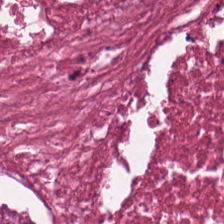Finding — necrotic debris.
